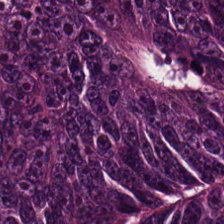Hematoxylin and eosin — Predominant tissue: malignant epithelium.
